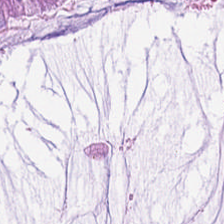The predominant tissue is mucin.
